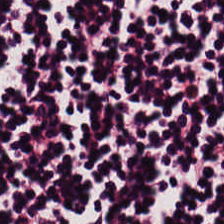Hematoxylin and eosin — Q: Identify the tissue.
A: It is lymphoid infiltrate.
